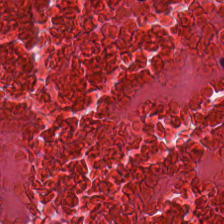224×224 px patch · H&E · brightfield microscopy — Necrotic debris.
